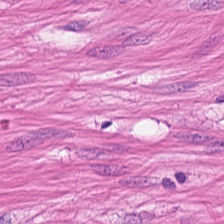H&E stain · 0.5 microns per pixel. Smooth muscle.
